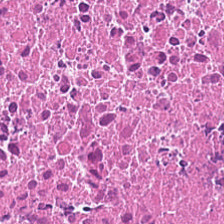H&E-stained tissue section. {"tissue_type": "necrotic debris"}
